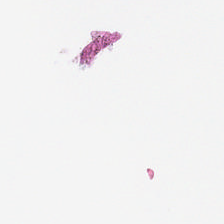H&E-stained tissue section — {"content": "no tissue"}
